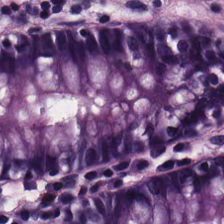H&E. FFPE tissue section.
Non-neoplastic colon mucosa.
